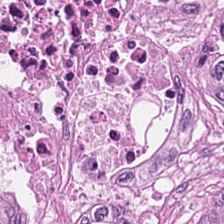Predominant tissue: colorectal adenocarcinoma.
